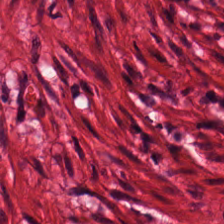Q: Classify this patch.
A: This is smooth-muscle tissue.
